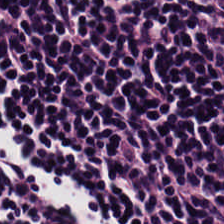H&E — Predominantly lymphocyte aggregate.
